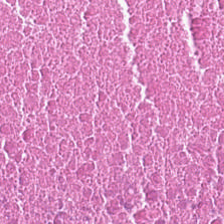H&E-stained tissue section.
Q: What is the predominant tissue type?
A: The field shows debris.
